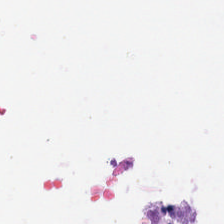Hematoxylin-and-eosin stained section — Field content — empty background.
